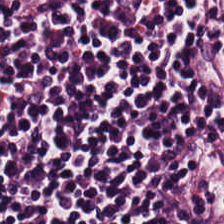Hematoxylin and eosin.
The tissue here is lymphocyte aggregate.
